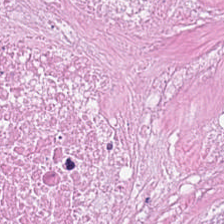Stain: H&E.
Acquisition: brightfield microscopy.
Classification: cellular debris.
